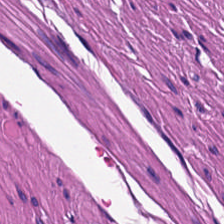H&E. {"tissue_type": "muscularis"}
